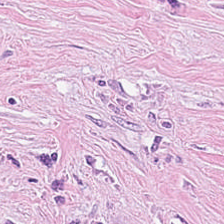FFPE · brightfield microscopy · H&E. The tissue class is desmoplastic stroma.
